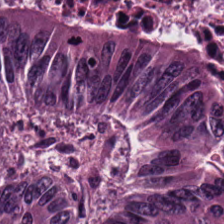H&E stain. Predominant tissue: colorectal adenocarcinoma.
